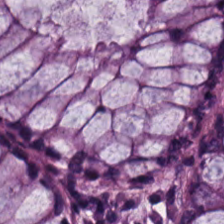Q: What tissue is shown?
A: The field shows normal colonic mucosa.
